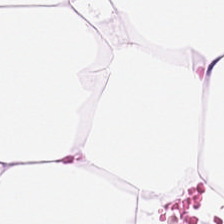H&E stain; brightfield; 224×224 px patch — The tissue here is adipocytes.
